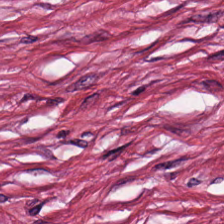Stain: hematoxylin and eosin.
Predominant tissue: cancer-associated stroma.
